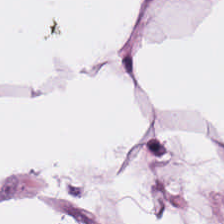H&E stain. Q: Classify this patch.
A: Fat tissue.
